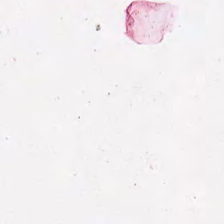Predominantly necrotic debris.
